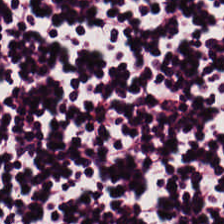Brightfield. H&E-stained tissue section.
Histology — lymphoid infiltrate.
